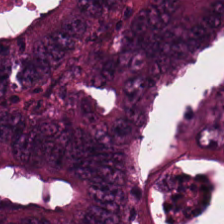H&E stain. {"tissue_type": "malignant epithelium"}
